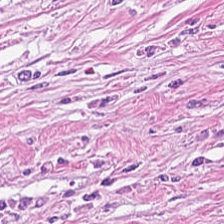224×224 pixel tile · hematoxylin and eosin. Impression — desmoplastic stroma.
